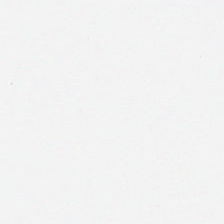Stain: hematoxylin-and-eosin stained section.
Content: background (no tissue).
